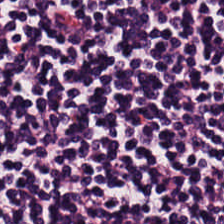Hematoxylin-and-eosin stained section · 20× equivalent magnification.
{"tissue_type": "lymphocytes"}
